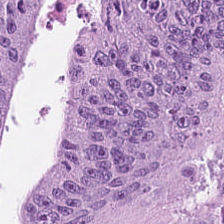0.5 µm per pixel. Hematoxylin and eosin — The predominant tissue is colorectal adenocarcinoma.
